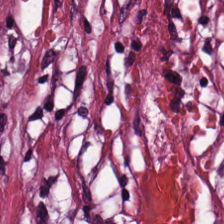H&E-stained tissue section. The tissue here is cancer-associated stroma.
